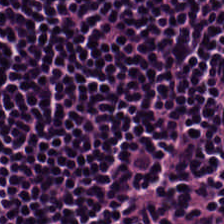Whole-slide-image patch. H&E-stained tissue section.
The predominant tissue is lymphocytic infiltrate.
